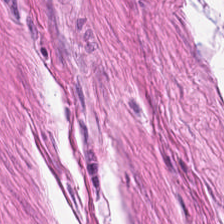Stain: hematoxylin and eosin.
Tissue: muscularis.
